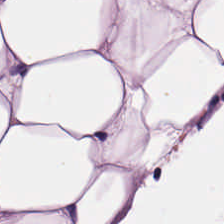Tissue class: adipose.
